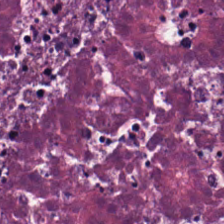0.5 microns per pixel; H&E stain.
Tissue — debris.
